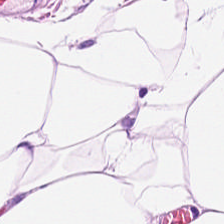This patch shows fat tissue.
